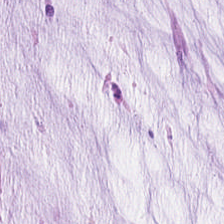Finding → extracellular mucin.
